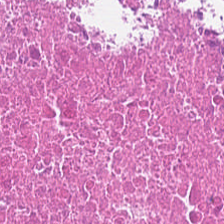H&E-stained tissue section. Brightfield — The predominant tissue is necrotic debris.
